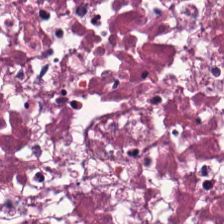H&E · FFPE — Tissue type: cellular debris.
